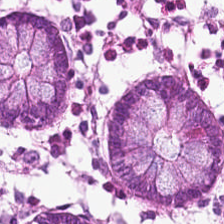H&E. The tissue is benign colonic mucosa.
